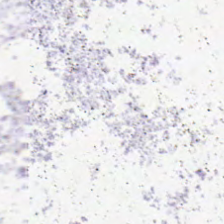0.5 microns per pixel · hematoxylin-and-eosin stained section — Histology — empty background.
